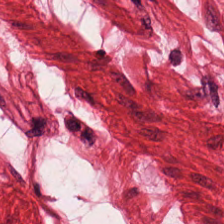Hematoxylin-and-eosin stained section — The tissue type is smooth muscle.
